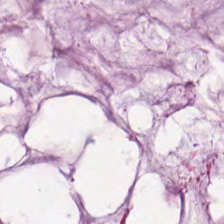Q: What is shown in this field?
A: This is extracellular mucin.
